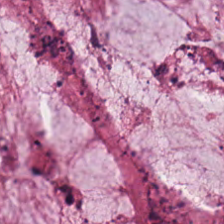Stain: H&E.
Tissue: mucin.
